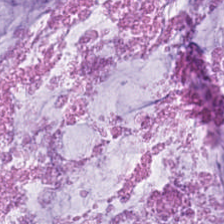Stain: hematoxylin and eosin.
Tissue type: mucus.
